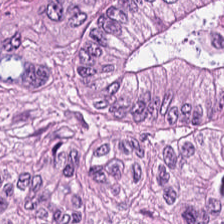Stain: hematoxylin-and-eosin stained section.
Preparation: FFPE.
Tile size: 224×224 px patch.
Classification: colorectal adenocarcinoma epithelium.
